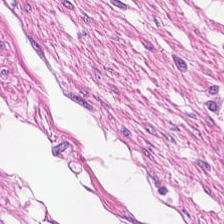H&E. 224×224 pixel tile. This patch shows smooth muscle.
